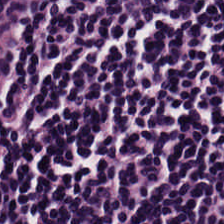H&E. The predominant tissue is lymphocyte aggregate.
